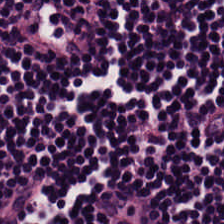Hematoxylin-and-eosin stained section; brightfield microscopy.
Tissue — lymphocytes.
